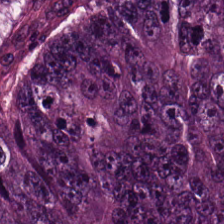H&E stain. The tissue here is colorectal adenocarcinoma epithelium.
